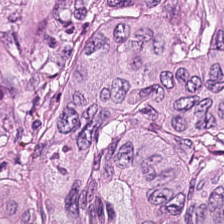Finding — tumor epithelium.
